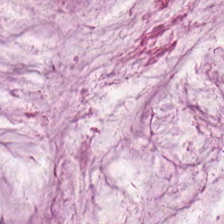224×224 pixel tile · H&E stain · WSI patch.
Histology → mucus.
